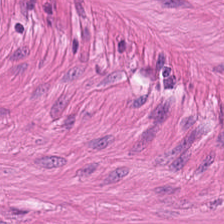H&E-stained tissue section; 0.5 µm per pixel.
Q: Classify this patch.
A: The field shows smooth muscle.
